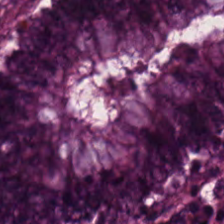H&E patch showing non-neoplastic colon mucosa.
